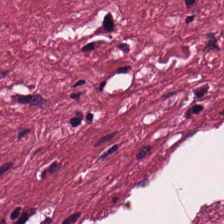Cancer-associated stroma.
